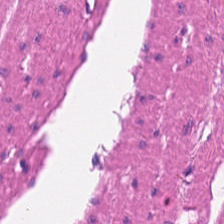Hematoxylin-and-eosin stained section. Brightfield microscopy.
Tissue type — muscularis.
